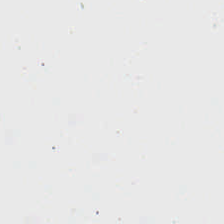H&E-stained tissue section.
Background — no tissue in this field.
